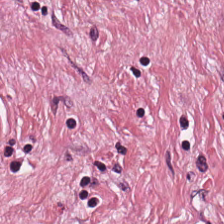H&E-stained tissue section. Formalin-fixed paraffin-embedded section.
Histology — tumor stroma.
